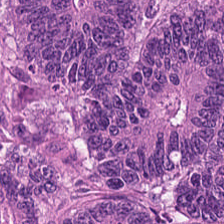Formalin-fixed paraffin-embedded section; brightfield microscopy; H&E-stained tissue section — This patch shows adenocarcinoma.
